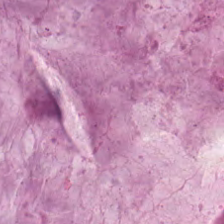Hematoxylin-and-eosin stained section — Q: Classify this patch.
A: The field shows extracellular mucin.
